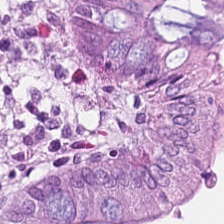Stain: H&E-stained tissue section.
Preparation: FFPE tissue section.
Acquisition: WSI patch.
Tissue class: normal colonic mucosa.
